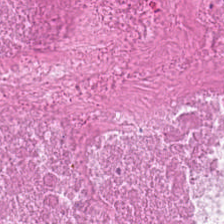0.5 µm per pixel · H&E-stained tissue section · FFPE tissue section — The tissue class is cellular debris.
